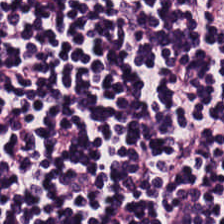Hematoxylin-and-eosin stained section. This field is lymphocyte aggregate.
